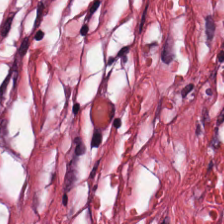Predominant tissue: desmoplastic stroma.
